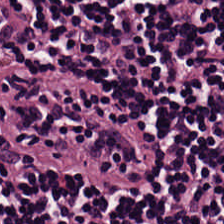H&E — The tissue here is lymphocytes.
